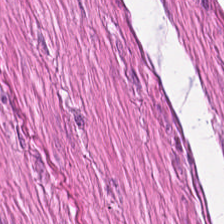H&E-stained tissue section — The classification is smooth muscle.
